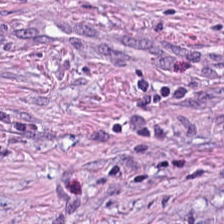Finding → cancer-associated stroma.
